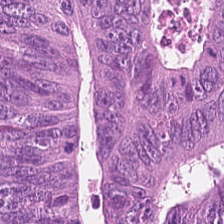Hematoxylin-and-eosin stained section. The predominant tissue is colorectal adenocarcinoma epithelium.
